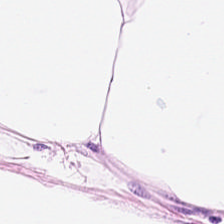Hematoxylin-and-eosin stained section. Finding — fat tissue.
